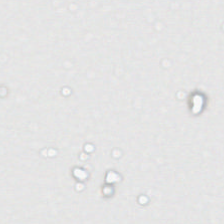224×224 px patch. Hematoxylin and eosin.
This field is background (no tissue).
